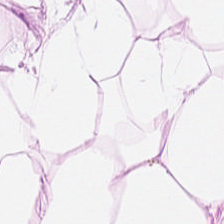Classification: fat tissue.
